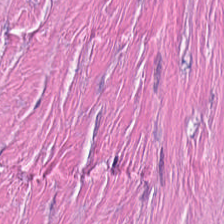FFPE. Hematoxylin-and-eosin stained section.
Q: What tissue type is shown here?
A: It is tumor-associated stroma.
